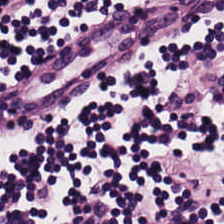Formalin-fixed paraffin-embedded section. 20× equivalent magnification. Hematoxylin and eosin.
{"tissue_type": "lymphoid infiltrate"}
